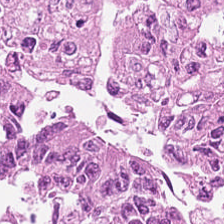0.5 microns per pixel; hematoxylin-and-eosin stained section — Predominant tissue: tumor epithelium.
